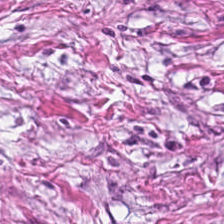Hematoxylin-and-eosin stained section; 224×224 pixel tile.
Desmoplastic stroma.
